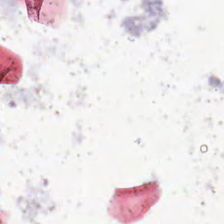Q: What is shown in this field?
A: It is background (no tissue).
